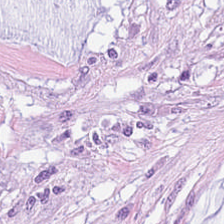Hematoxylin-and-eosin stained section — The predominant tissue is extracellular mucin.
